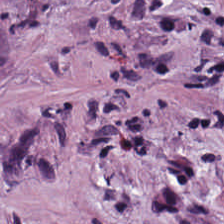Formalin-fixed paraffin-embedded section; 20× equivalent magnification; H&E-stained tissue section.
The predominant tissue is cancer-associated stroma.
